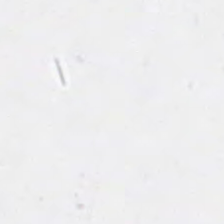No tissue present; background only.
